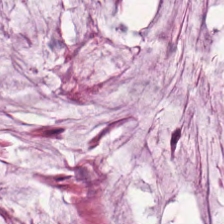The tissue class is mucus.
